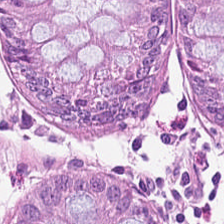Tissue — normal colon mucosa.
